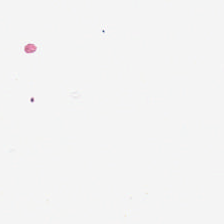H&E stain. 0.5 microns per pixel.
No tissue present; background only.
